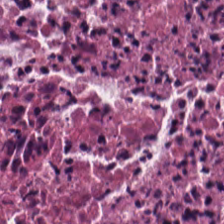H&E-stained section; the field shows cellular debris.
